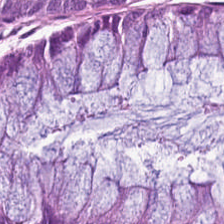H&E-stained tissue section showing benign colonic mucosa.
